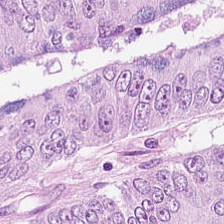H&E-stained tissue section — Q: What is the predominant tissue type?
A: Malignant epithelium.
